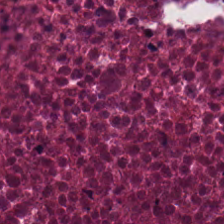Predominantly necrotic debris.
